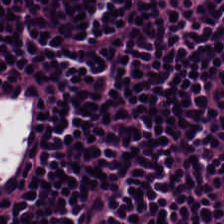Hematoxylin-and-eosin stained section.
This field is lymphocytes.
